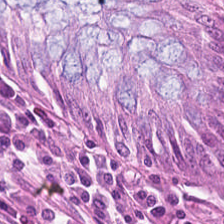Hematoxylin-and-eosin stained section; 0.5 microns per pixel.
Tissue class = benign colonic mucosa.
